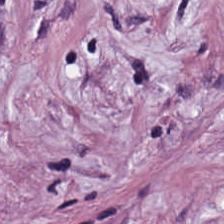0.5 µm per pixel · H&E stain — {"tissue_type": "desmoplastic stroma"}
